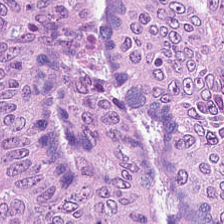H&E stain.
Histology → colorectal adenocarcinoma epithelium.
